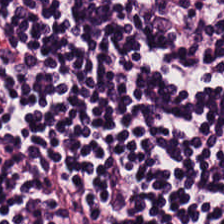H&E-stained tissue section. 0.5 µm/px — Tissue type = lymphocytic infiltrate.
